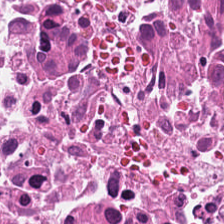0.5 µm/px · formalin-fixed paraffin-embedded section · hematoxylin and eosin. Tissue type — debris.
